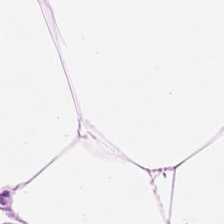Stain: H&E stain.
Predominant tissue: adipocytes.
